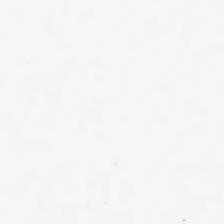H&E. Background — no tissue in this field.
